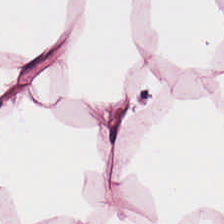Brightfield microscopy; H&E. Predominantly adipose.
